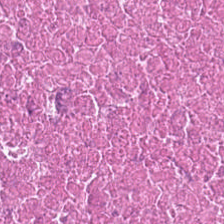{"tissue_type": "debris"}
